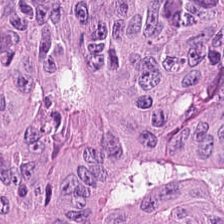224×224 px patch · H&E stain · FFPE. This field is malignant epithelium.
